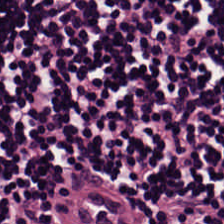WSI patch. H&E — Histology → lymphocyte aggregate.
